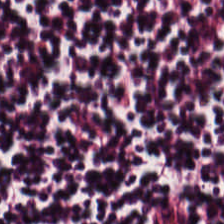H&E-stained tissue section — Showing lymphocytes.
